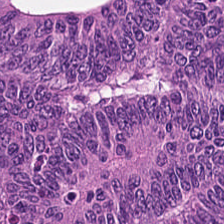Hematoxylin-and-eosin stained section. {"tissue_type": "colorectal adenocarcinoma epithelium"}
